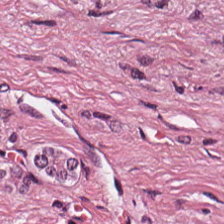H&E stain. 0.5 µm/px.
Q: What is shown in this field?
A: The field shows cancer-associated stroma.
